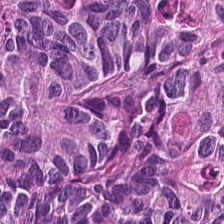FFPE tissue section · hematoxylin-and-eosin stained section. Tissue class: malignant epithelium.
